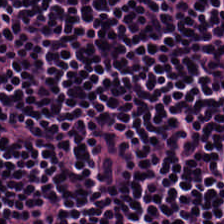Impression — lymphocyte aggregate.
